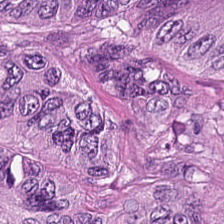Histology → tumor epithelium.
